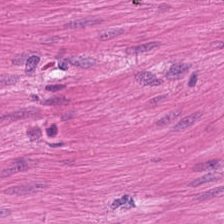Brightfield. Formalin-fixed paraffin-embedded section. H&E-stained tissue section — Muscularis.
